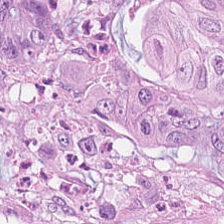Hematoxylin and eosin. The predominant tissue is tumor epithelium.
